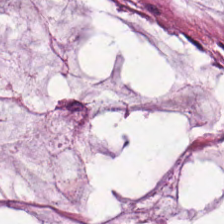Hematoxylin-and-eosin stained section — Predominantly extracellular mucin.
